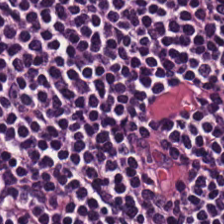Predominantly lymphocytic infiltrate.
